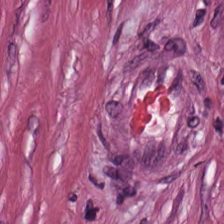Q: Identify the tissue.
A: It is desmoplastic stroma.
